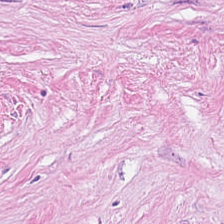H&E — Tissue class = tumor-associated stroma.
